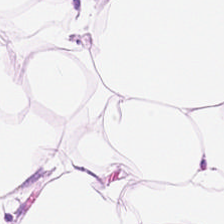H&E-stained tissue section showing adipose.
